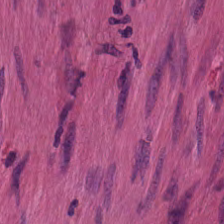H&E-stained tissue section. WSI patch. Tissue type — muscularis.
